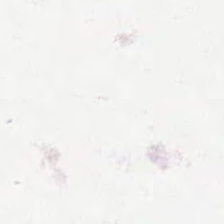Stain: hematoxylin-and-eosin stained section.
Field content: no tissue.
